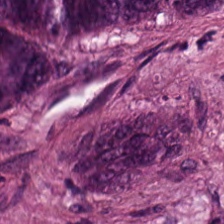H&E-stained tissue section · FFPE · 224×224 px patch.
{"tissue_type": "adenocarcinoma"}
